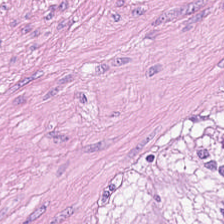Stain: H&E stain.
Tissue: smooth-muscle tissue.
